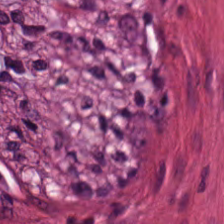Q: What type of tissue is this?
A: The field shows smooth-muscle tissue.
